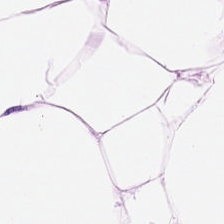H&E-stained tissue section — Adipocytes.
